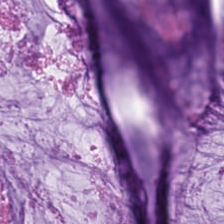FFPE; hematoxylin and eosin; brightfield.
Extracellular mucin.
